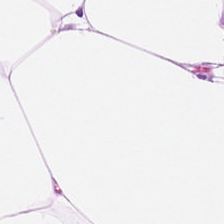Hematoxylin-and-eosin stained section.
Tissue = fat tissue.
